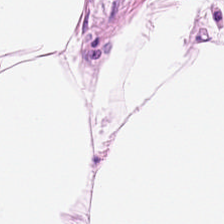20× equivalent magnification. Hematoxylin-and-eosin stained section.
Tissue class — adipose tissue.
